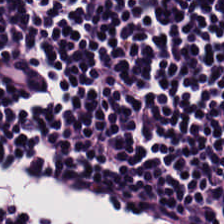H&E-stained tissue section — Showing lymphoid infiltrate.
